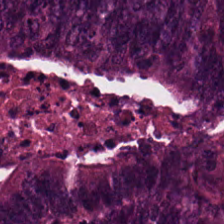Stain: hematoxylin-and-eosin stained section.
Tissue class: malignant epithelium.
